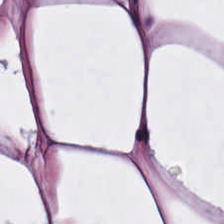Stain: H&E.
Resolution: 0.5 µm per pixel.
Predominant tissue: fat tissue.
